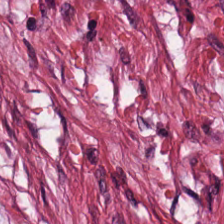The tissue is tumor stroma.
